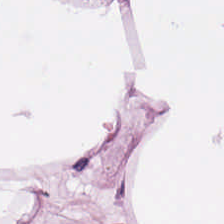Hematoxylin and eosin. 224×224 px tile. Q: What type of tissue is this?
A: Adipose tissue.
